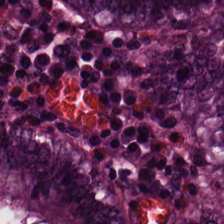0.5 µm/px; H&E stain; 224×224 pixel tile. Predominantly benign colonic mucosa.
